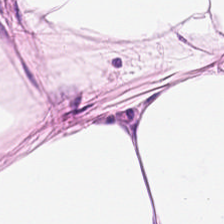H&E-stained tissue section. Tissue type: adipocytes.
